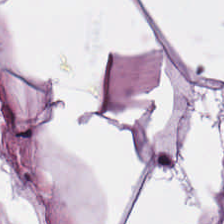Stain: hematoxylin-and-eosin stained section.
Tile size: 224×224 pixel tile.
Preparation: FFPE tissue section.
Tissue: adipose.
